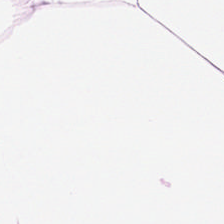Hematoxylin and eosin. Showing adipose.
